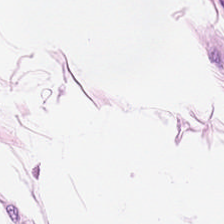Stain: hematoxylin-and-eosin stained section.
Resolution: 20× equivalent magnification.
Preparation: formalin-fixed paraffin-embedded section.
Tissue: adipocytes.
